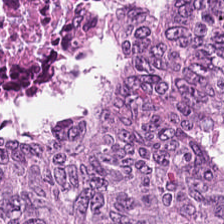H&E stain — Predominant tissue: tumor epithelium.
